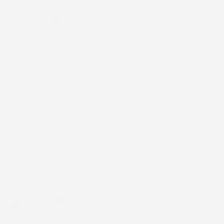Hematoxylin and eosin — Empty field — no tissue.
